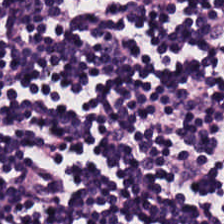Tissue class = lymphocytic infiltrate.
